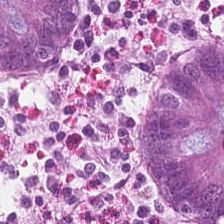H&E stain · whole-slide-image patch.
Tissue class — non-neoplastic colon mucosa.
